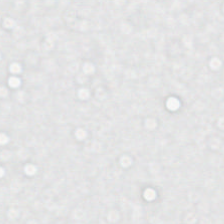Hematoxylin-and-eosin stained section · whole-slide-image patch · 224×224 pixel tile.
This patch shows empty background.
